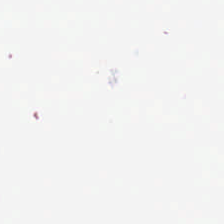H&E. Q: What is shown here?
A: No tissue.
